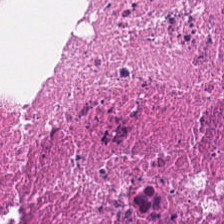Brightfield · hematoxylin and eosin · 224×224 px tile — This field is cellular debris.
